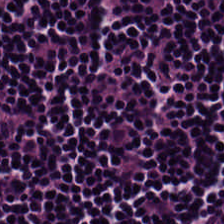H&E stain.
Finding → lymphocyte aggregate.
